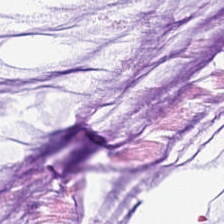Predominantly extracellular mucin.
